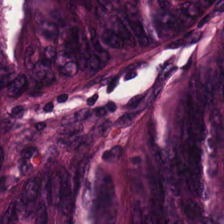Hematoxylin-and-eosin stained section — Predominantly malignant epithelium.
